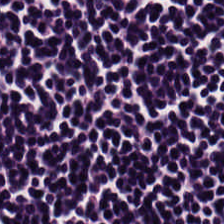Hematoxylin-and-eosin stained section.
The classification is lymphocyte aggregate.
